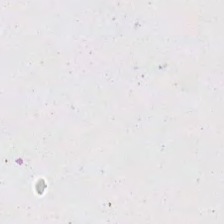Hematoxylin-and-eosin stained section · 224×224 pixel tile. {"content": "background"}
